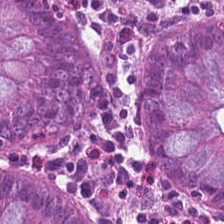H&E-stained tissue section — Showing non-neoplastic colon mucosa.
